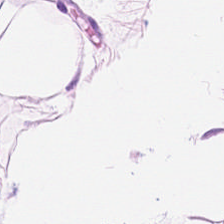Predominant tissue: adipocytes.
